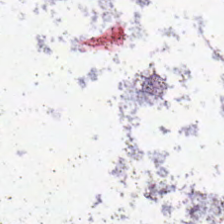Stain: H&E stain.
Classification: background.
